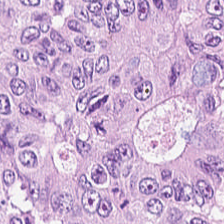Q: Classify this patch.
A: This is colorectal adenocarcinoma.
